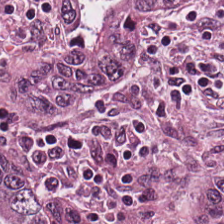0.5 microns per pixel · hematoxylin-and-eosin stained section.
This field is adenocarcinoma.
